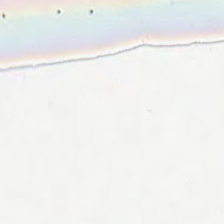Hematoxylin and eosin. Field content = empty background.
